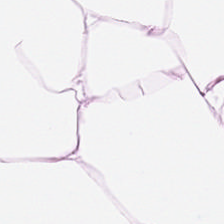0.5 µm per pixel; hematoxylin-and-eosin stained section — Tissue: adipose tissue.
